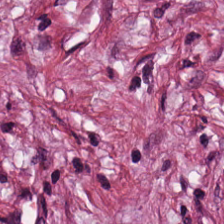Hematoxylin and eosin — This patch shows tumor stroma.
